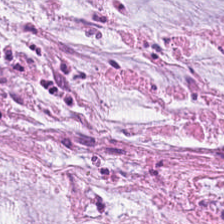Stain: H&E-stained tissue section.
Resolution: 0.5 µm per pixel.
Tissue type: mucus.
